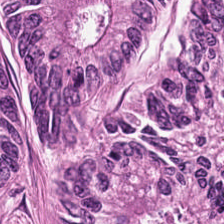H&E stain. Whole-slide-image patch. Colorectal adenocarcinoma.
